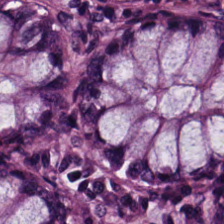H&E-stained tissue section. 0.5 µm per pixel — Q: What is shown in this field?
A: The field shows benign colonic mucosa.
